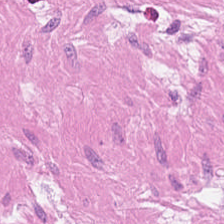0.5 µm per pixel. H&E-stained tissue section. The tissue here is smooth muscle.
